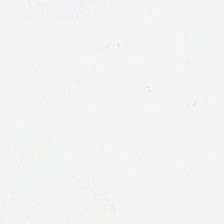Background — no tissue in this field.
